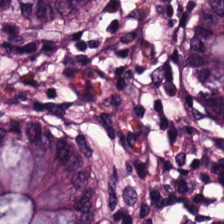H&E stain — Q: What tissue type is shown here?
A: Non-neoplastic colon mucosa.
